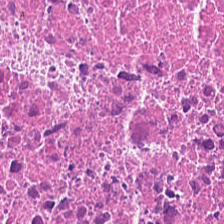224×224 px tile; hematoxylin and eosin.
This patch shows cellular debris.
